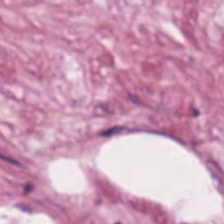H&E — Showing cancer-associated stroma.
